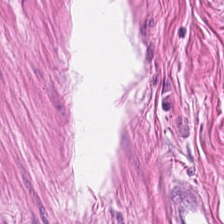Hematoxylin-and-eosin stained section — {"tissue_type": "muscularis"}
